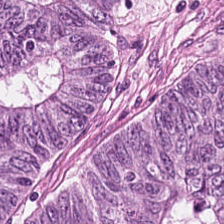224×224 px tile. H&E. Formalin-fixed paraffin-embedded section.
Showing malignant epithelium.
